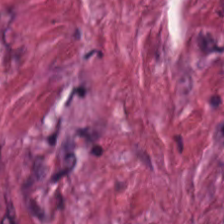The predominant tissue is cancer-associated stroma.
